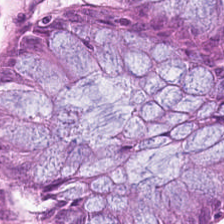0.5 µm/px. 224×224 pixel tile. Hematoxylin and eosin. This patch shows normal colonic mucosa.
